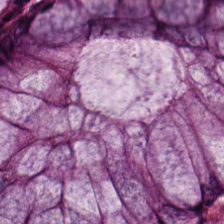Formalin-fixed paraffin-embedded section; hematoxylin-and-eosin stained section. The predominant tissue is non-neoplastic colon mucosa.
